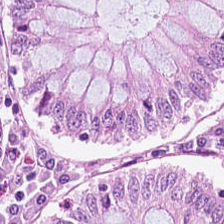0.5 µm/px. H&E-stained tissue section.
Predominantly normal colon mucosa.
